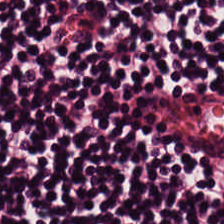The tissue class is lymphocytes.
